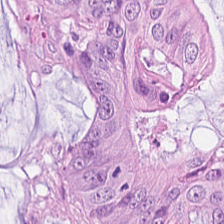Hematoxylin-and-eosin stained section. FFPE tissue section.
The predominant tissue is adenocarcinoma.
